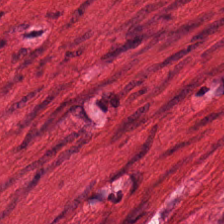Stain: hematoxylin and eosin.
Predominant tissue: muscularis.
